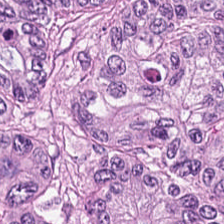H&E.
Tissue type: colorectal adenocarcinoma.
